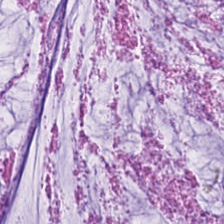H&E-stained tissue section. Tissue type: extracellular mucin.
